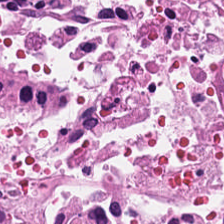H&E — Q: What is shown here?
A: The field shows debris.
